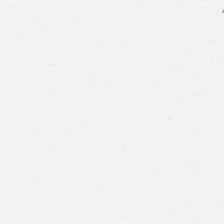H&E stain — The content is background (no tissue).
